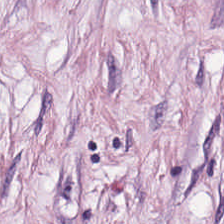Stain: H&E stain.
Tissue class: tumor stroma.
